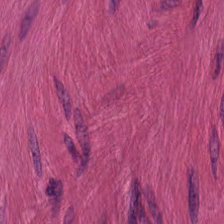Hematoxylin-and-eosin stained section. FFPE tissue section.
Q: Identify the tissue.
A: This is smooth muscle.
